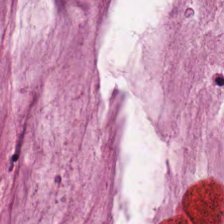Hematoxylin-and-eosin stained section. {"tissue_type": "mucin"}
